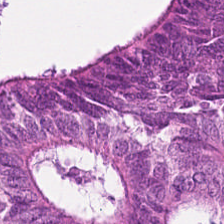Hematoxylin and eosin — The tissue here is malignant epithelium.
